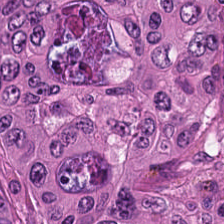Hematoxylin-and-eosin stained section.
{"tissue_type": "adenocarcinoma"}
